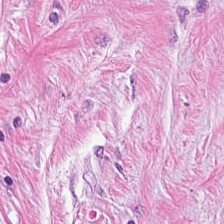224×224 pixel tile; hematoxylin-and-eosin stained section.
Cancer-associated stroma.
